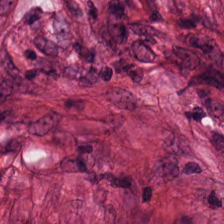H&E-stained tissue section. 224×224 pixel tile. 0.5 µm per pixel.
Tissue type: tumor stroma.
